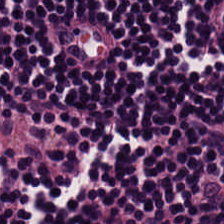H&E stain.
Finding → lymphocyte aggregate.
